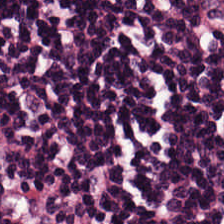Hematoxylin-and-eosin stained section — The predominant tissue is lymphocytes.
